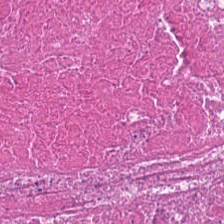Hematoxylin-and-eosin stained section.
{"tissue_type": "cellular debris"}
